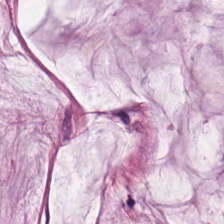Hematoxylin and eosin; 0.5 µm/px.
Showing mucus.
